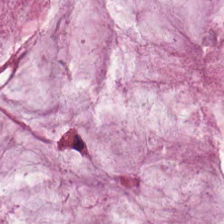H&E stain — Q: Identify the tissue.
A: Mucin.
